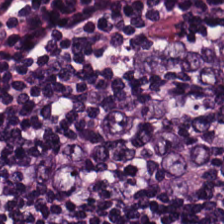H&E. Q: What tissue is shown?
A: This is lymphocytes.
